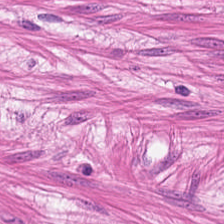H&E — Predominantly smooth-muscle tissue.
